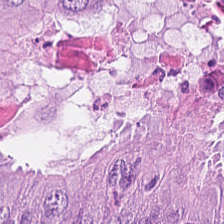H&E; formalin-fixed paraffin-embedded section; WSI patch — This field is tumor epithelium.
